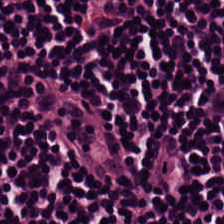224×224 px patch · hematoxylin-and-eosin stained section.
{"tissue_type": "lymphocyte aggregate"}
